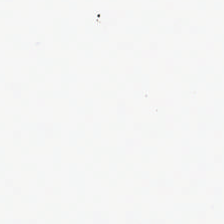0.5 µm per pixel. Formalin-fixed paraffin-embedded section. H&E stain — Q: What is shown in this field?
A: This is background (no tissue).
